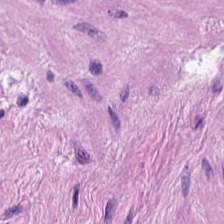Stain: H&E stain.
Tissue: muscularis.
